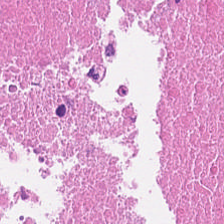FFPE tissue section. 224×224 pixel tile. H&E — Histology → necrotic debris.
